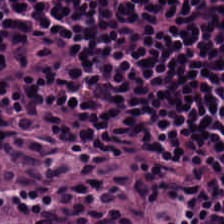The tissue type is lymphocytic infiltrate.
